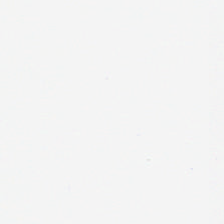No tissue present; background only.
